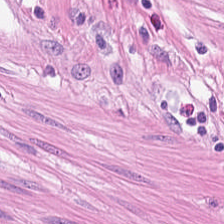Stain: H&E.
Tissue class: smooth muscle.
